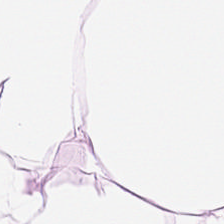Tissue type = adipose tissue.
